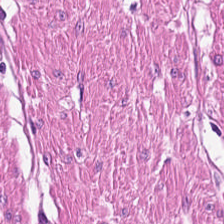H&E-stained tissue section.
This patch shows smooth-muscle tissue.
